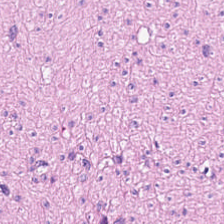Stain: hematoxylin-and-eosin stained section.
Tissue: smooth-muscle tissue.
